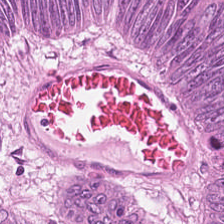H&E-stained tissue section.
Finding — adenocarcinoma.
